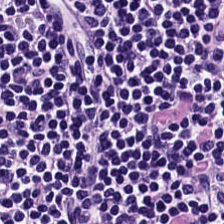H&E.
The tissue here is lymphocyte aggregate.
